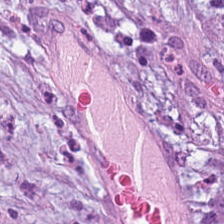Tissue: cancer-associated stroma.
